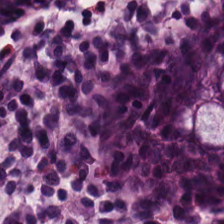H&E.
Q: Identify the tissue.
A: The field shows benign colonic mucosa.
